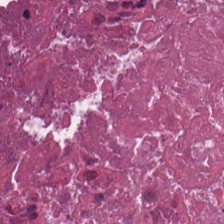Hematoxylin-and-eosin stained section · brightfield microscopy. Q: Classify this patch.
A: Necrotic debris.
